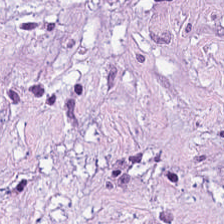Hematoxylin and eosin — Predominantly tumor stroma.
